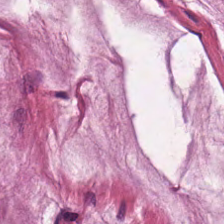H&E.
Q: What is the predominant tissue type?
A: Mucin.
